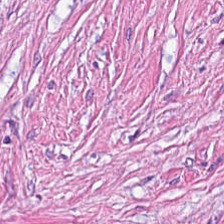Hematoxylin-and-eosin stained section. 224×224 px tile. Formalin-fixed paraffin-embedded section.
Finding — cancer-associated stroma.
